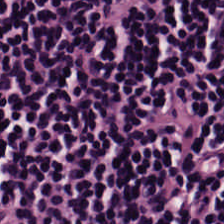FFPE tissue section · 224×224 px tile · H&E-stained tissue section — The predominant tissue is lymphoid infiltrate.
